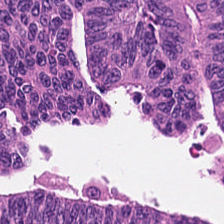The tissue class is malignant epithelium.
